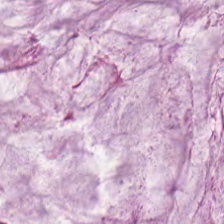Formalin-fixed paraffin-embedded section. H&E-stained tissue section. Brightfield microscopy.
The tissue class is mucus.
